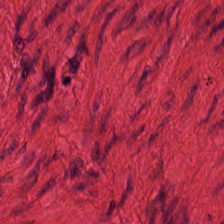H&E.
Q: Classify this patch.
A: Smooth-muscle tissue.
